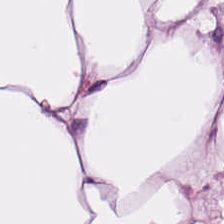0.5 microns per pixel; whole-slide-image patch; hematoxylin-and-eosin stained section.
This field is fat tissue.
